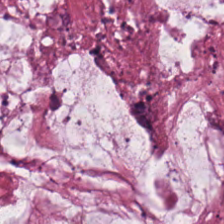Predominantly extracellular mucin.
